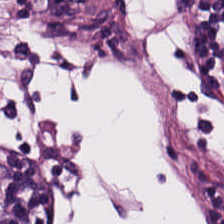Hematoxylin and eosin.
Tissue type = lymphocytes.
